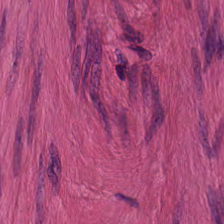H&E stain · 224×224 px tile. Histology — smooth-muscle tissue.
